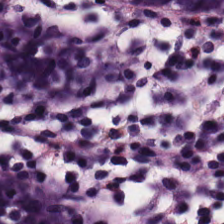H&E-stained tissue section · 224×224 px patch · FFPE. Q: What is the predominant tissue type?
A: The field shows benign colonic mucosa.
